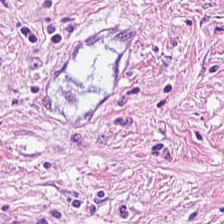Showing cancer-associated stroma.
